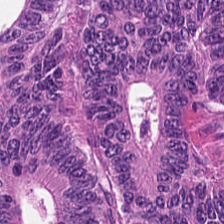Brightfield microscopy. H&E-stained tissue section.
Tissue — tumor epithelium.
